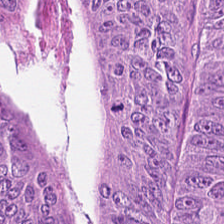H&E. FFPE tissue section.
Histology — tumor epithelium.
